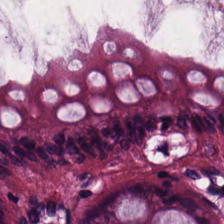224×224 pixel tile · H&E-stained tissue section.
The tissue class is benign colonic mucosa.
